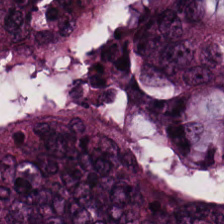0.5 µm/px. Formalin-fixed paraffin-embedded section. Hematoxylin-and-eosin stained section — Q: What is shown in this field?
A: Colorectal adenocarcinoma.
